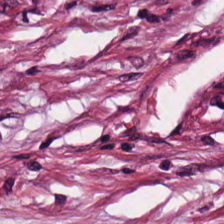H&E stain · whole-slide-image patch. Cancer-associated stroma.
